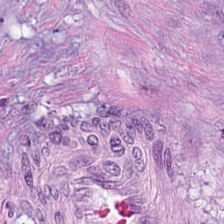H&E — Showing desmoplastic stroma.
